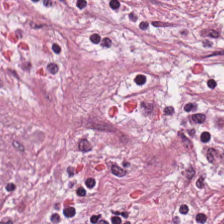Hematoxylin and eosin — Tumor-associated stroma.
